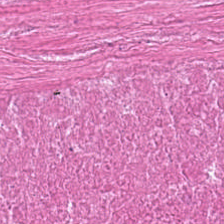H&E-stained section; the field shows cellular debris.
